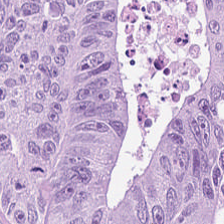224×224 pixel tile. H&E stain.
Histology — adenocarcinoma.
